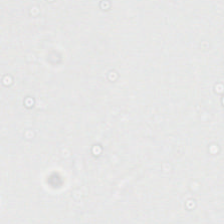H&E.
The content is empty background.
